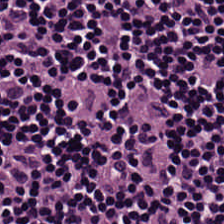Stain: hematoxylin-and-eosin stained section.
Tile size: 224×224 pixel tile.
Resolution: 0.5 µm per pixel.
Classification: lymphocytes.
